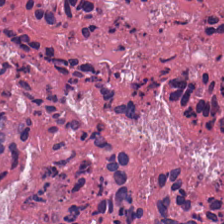Brightfield microscopy · H&E-stained tissue section.
Tissue = debris.
